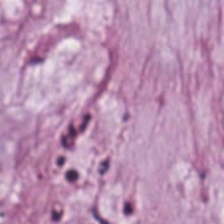Hematoxylin and eosin — Q: What is the predominant tissue type?
A: The field shows mucus.
